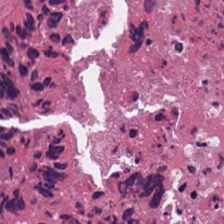Q: What tissue type is shown here?
A: This is cellular debris.
